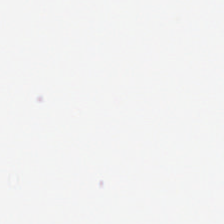FFPE tissue section. Hematoxylin and eosin. Whole-slide-image patch. The field content is background.
